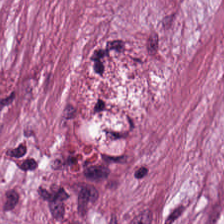H&E.
Q: What tissue is shown?
A: It is cancer-associated stroma.
